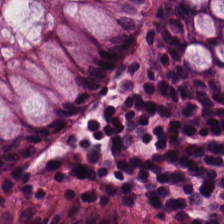Hematoxylin-and-eosin stained section. Classification — normal colonic mucosa.
